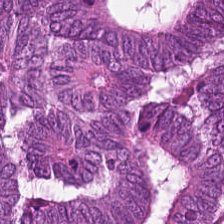H&E · FFPE.
Histology → tumor epithelium.
